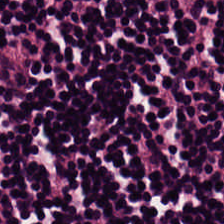Histology — lymphocytic infiltrate.
